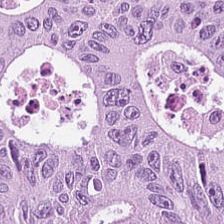Hematoxylin-and-eosin stained section. FFPE. Predominant tissue: colorectal adenocarcinoma epithelium.
